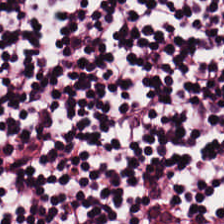Hematoxylin and eosin. Brightfield.
Impression — lymphocyte aggregate.
